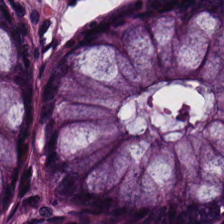H&E stain.
Tissue type: non-neoplastic colon mucosa.
